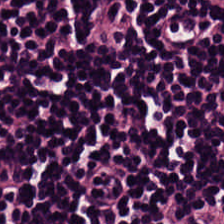H&E stain. Histology → lymphocyte aggregate.
